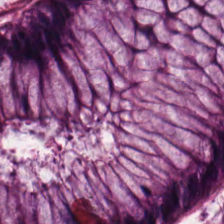H&E stain; WSI patch.
{"tissue_type": "non-neoplastic colon mucosa"}
